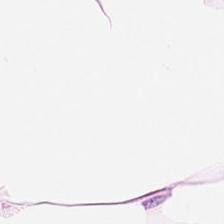H&E-stained tissue section; WSI patch — Q: Classify this patch.
A: The field shows adipocytes.
